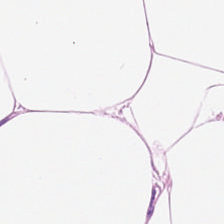Hematoxylin-and-eosin stained section. 224×224 px tile — This field is adipose tissue.
